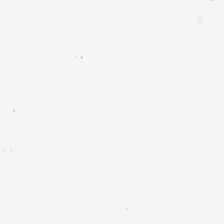H&E.
Content: background (no tissue).
